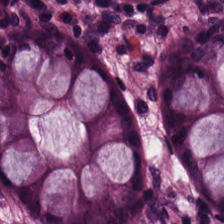H&E-stained tissue section. Impression — benign colonic mucosa.
